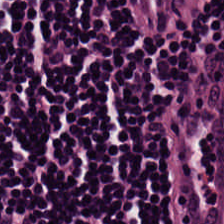Hematoxylin-and-eosin stained section.
The tissue here is lymphoid infiltrate.
